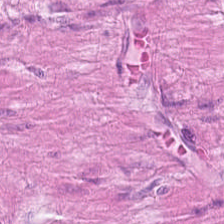Impression → muscularis.
